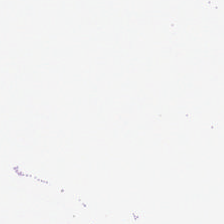H&E — This field is background (no tissue).
